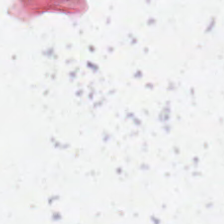Histology — background (no tissue).
